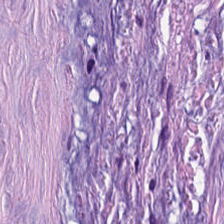224×224 px tile · H&E.
Histology → tumor-associated stroma.
